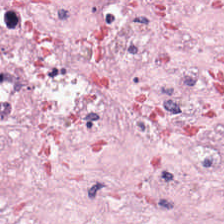Hematoxylin and eosin; 224×224 pixel tile; whole-slide-image patch — This patch shows tumor-associated stroma.
